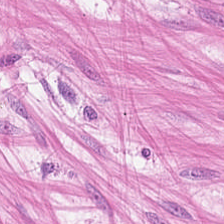Stain: H&E-stained tissue section.
Tissue: smooth muscle.
